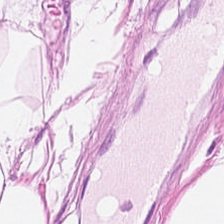Formalin-fixed paraffin-embedded section; H&E — Adipose.
